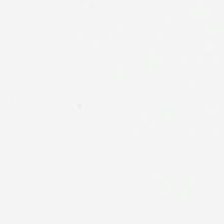No tissue present; background only.
